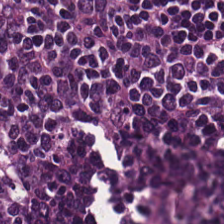H&E-stained tissue section · 224×224 px patch.
Impression — lymphocytic infiltrate.
